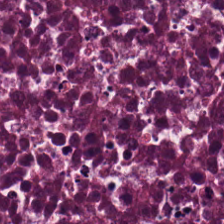Cellular debris.
